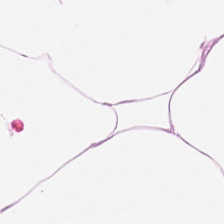224×224 px tile; hematoxylin and eosin. This field is adipocytes.
